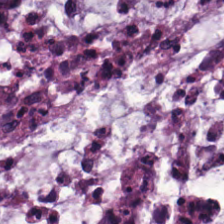H&E.
Mucin.
